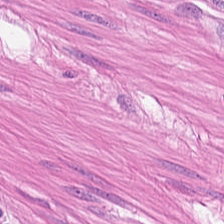Classification = smooth muscle.
